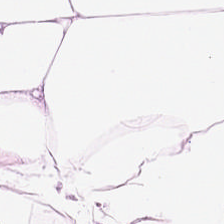H&E stain. 0.5 µm per pixel. Brightfield microscopy — Histology — adipose tissue.
